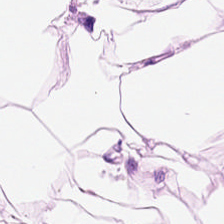H&E; 0.5 µm/px.
Showing adipose tissue.
